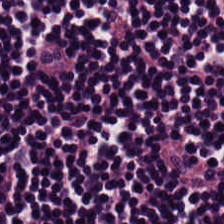Hematoxylin-and-eosin stained section — Q: What type of tissue is this?
A: It is lymphocytes.
